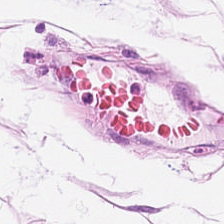Hematoxylin and eosin. Q: What is shown in this field?
A: This is adipocytes.
